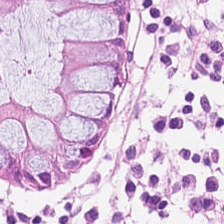Hematoxylin and eosin · formalin-fixed paraffin-embedded section — Showing normal colon mucosa.
